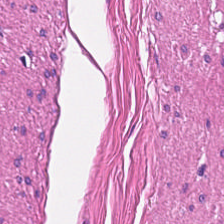H&E stain. WSI patch — Predominantly smooth muscle.
